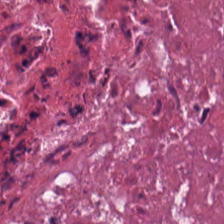Q: What tissue is shown?
A: Necrotic debris.
